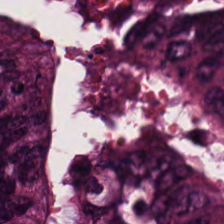Q: What is the predominant tissue type?
A: It is adenocarcinoma.
